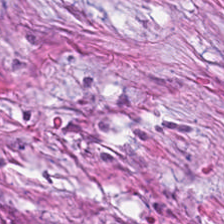Whole-slide-image patch. 0.5 microns per pixel. H&E stain. Classification — cancer-associated stroma.
